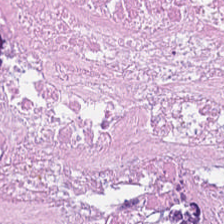The tissue here is debris.
